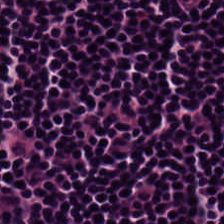H&E-stained tissue section · 0.5 µm/px — Tissue class = lymphocytes.
